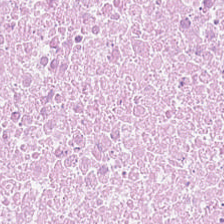Hematoxylin and eosin. Formalin-fixed paraffin-embedded section.
This patch shows cellular debris.
